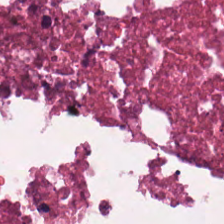Brightfield · H&E stain · 20× equivalent magnification.
This patch shows necrotic debris.
